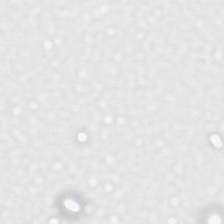H&E-stained tissue section; 0.5 µm per pixel — Finding — empty background.
